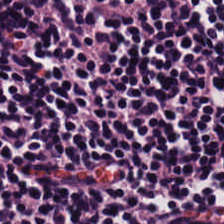H&E-stained tissue section; 224×224 px tile.
This field is lymphocyte aggregate.
